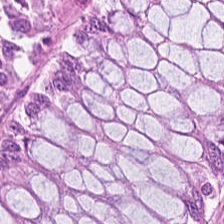Hematoxylin-and-eosin stained section. The predominant tissue is normal colon mucosa.
